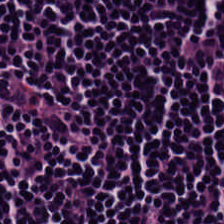The tissue here is lymphoid infiltrate.
